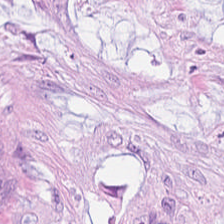Tissue type = malignant epithelium.
